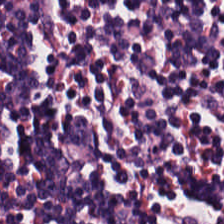Classification = lymphocytes.
